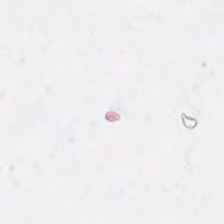224×224 px tile. Hematoxylin and eosin. The classification is no tissue.
